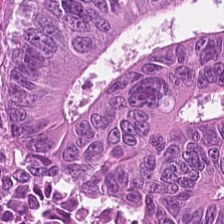Hematoxylin-and-eosin stained section. Q: What is the predominant tissue type?
A: The field shows colorectal adenocarcinoma epithelium.
